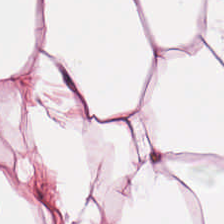FFPE. 224×224 px tile. H&E. Classification = adipose.
